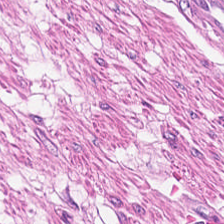H&E.
Classification: muscularis.
